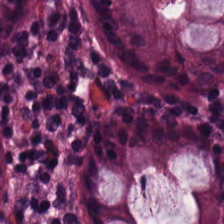Showing non-neoplastic colon mucosa.
